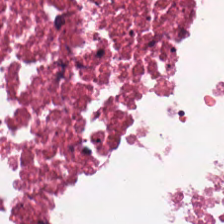Brightfield; hematoxylin and eosin; 0.5 µm/px — This field is cellular debris.
